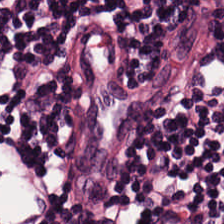20× equivalent magnification. Formalin-fixed paraffin-embedded section. H&E stain — The predominant tissue is lymphocyte aggregate.
